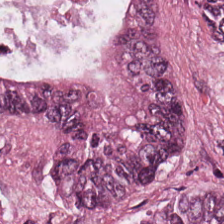Predominantly adenocarcinoma.
